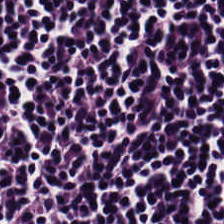Hematoxylin and eosin. {"tissue_type": "lymphocytic infiltrate"}
